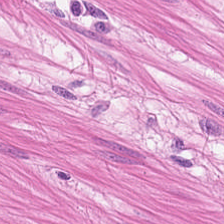20× equivalent magnification; hematoxylin and eosin. Predominant tissue — smooth muscle.
